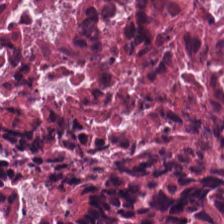Hematoxylin-and-eosin stained section — Finding → cellular debris.
